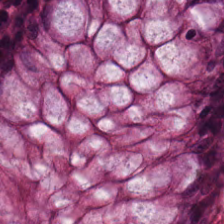Hematoxylin-and-eosin stained section. Q: What tissue is shown?
A: The field shows benign colonic mucosa.
